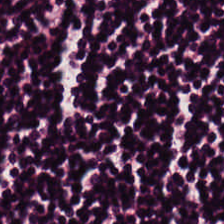H&E-stained tissue section. FFPE. Brightfield microscopy — Finding → lymphocytes.
